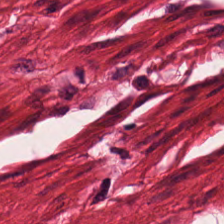{"tissue_type": "smooth-muscle tissue"}
